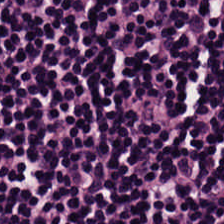Hematoxylin-and-eosin stained section. The predominant tissue is lymphocytes.
